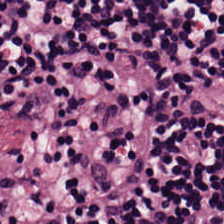Hematoxylin-and-eosin section: lymphocyte aggregate.
